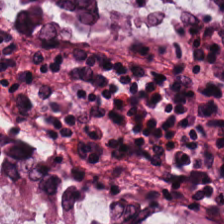Hematoxylin-and-eosin stained section · brightfield microscopy. The predominant tissue is normal colon mucosa.
